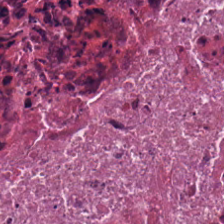H&E stain; 224×224 px patch; brightfield microscopy — Debris.
